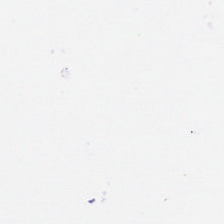Stain: H&E stain.
Content: no tissue.
